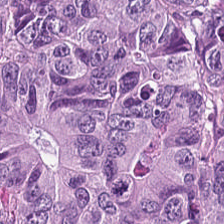H&E-stained tissue section.
Showing colorectal adenocarcinoma.
